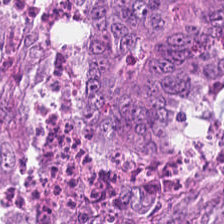20× equivalent magnification. H&E-stained tissue section — Finding — adenocarcinoma.
